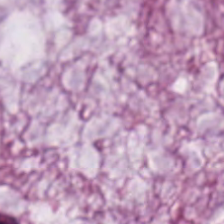H&E stain — Mucus.
